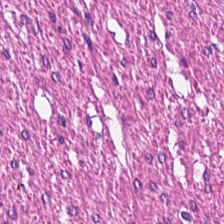H&E stain.
Classification = muscularis.
